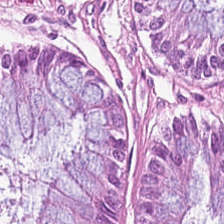Predominant tissue = benign colonic mucosa.
